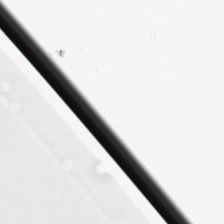Classification: empty background.
